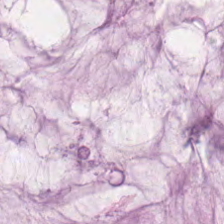H&E. FFPE. Predominantly extracellular mucin.
